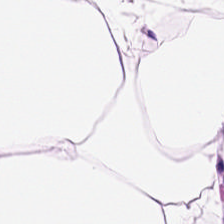The predominant tissue is adipose.
